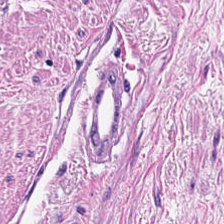Q: What tissue type is shown here?
A: It is smooth muscle.
